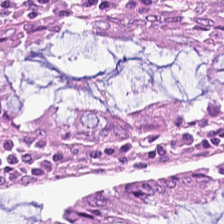Hematoxylin and eosin.
Impression — normal colon mucosa.
